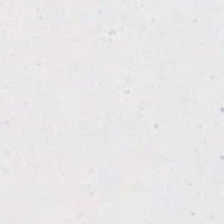H&E stain. Background — no tissue in this field.
